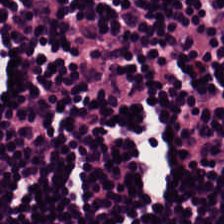H&E stain.
Tissue type — lymphocytes.
